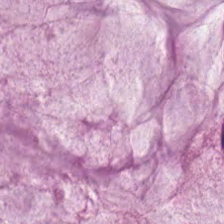Predominant tissue — extracellular mucin.
